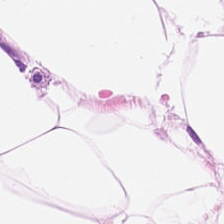H&E stain — Showing fat tissue.
